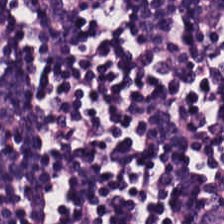Hematoxylin-and-eosin stained section — Showing lymphocyte aggregate.
